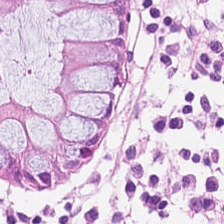H&E-stained tissue section showing non-neoplastic colon mucosa.
